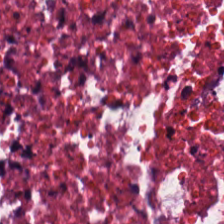Hematoxylin-and-eosin stained section · brightfield microscopy. Classification: necrotic debris.
